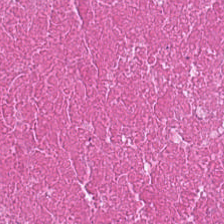H&E-stained tissue section · 224×224 px patch · FFPE — This field is necrotic debris.
